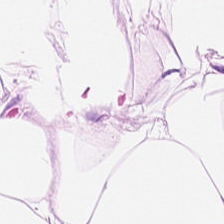H&E-stained section; the field shows fat tissue.
